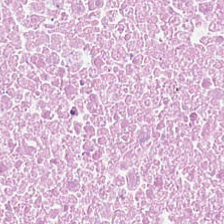Hematoxylin and eosin.
Predominantly debris.
